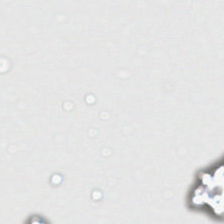FFPE; H&E; brightfield.
Content — no tissue.
